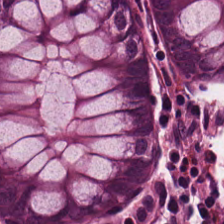Hematoxylin-and-eosin stained section; 0.5 µm per pixel; WSI patch. This patch shows normal colon mucosa.
